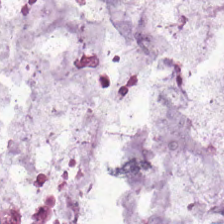H&E stain. 0.5 µm per pixel. Classification = mucin.
